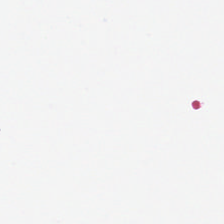Brightfield microscopy · H&E · 0.5 microns per pixel. Background.
